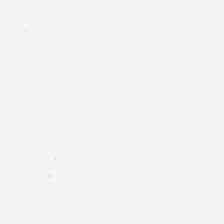Hematoxylin and eosin. Q: What is shown in this field?
A: The field shows no tissue.
